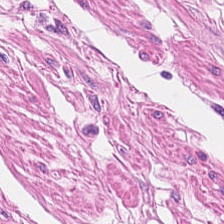Stain: hematoxylin and eosin.
Tissue: smooth-muscle tissue.
